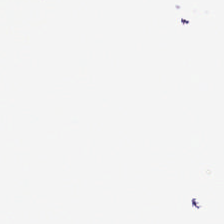H&E stain — No tissue present; background only.
